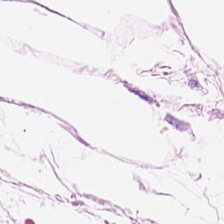Q: Classify this patch.
A: The field shows adipose.
